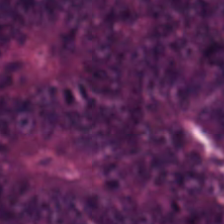Hematoxylin and eosin.
The predominant tissue is malignant epithelium.
